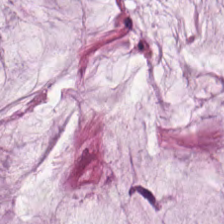H&E — Tissue type: mucus.
